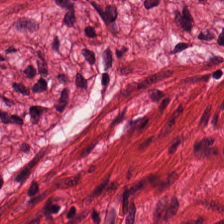Stain: H&E.
Tissue type: smooth-muscle tissue.
